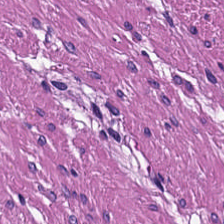Formalin-fixed paraffin-embedded section · hematoxylin and eosin · brightfield.
Tissue type — smooth-muscle tissue.
